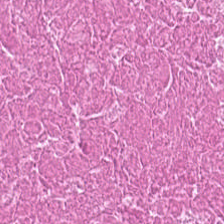Hematoxylin-and-eosin stained section — Tissue type = debris.
